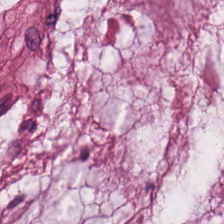WSI patch · FFPE · H&E-stained tissue section.
This field is mucus.
